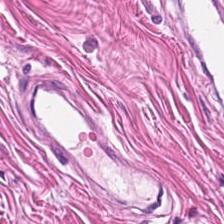H&E-stained tissue section. This field is smooth-muscle tissue.
